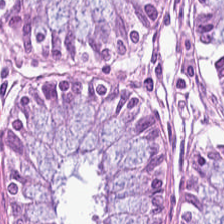Hematoxylin and eosin — Impression — non-neoplastic colon mucosa.
